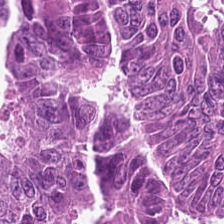224×224 pixel tile; H&E-stained tissue section; brightfield.
The predominant tissue is colorectal adenocarcinoma.
